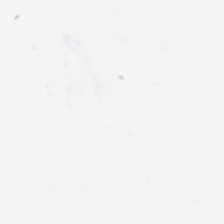This field is background (no tissue).
